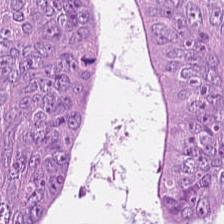224×224 pixel tile · hematoxylin and eosin — Predominant tissue = tumor epithelium.
